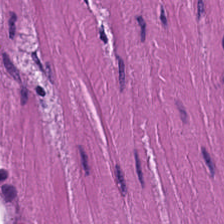H&E stain — The tissue here is smooth muscle.
